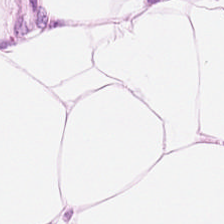0.5 µm per pixel. H&E.
This patch shows adipocytes.
